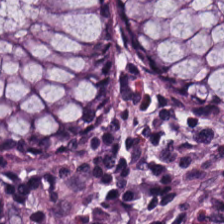Normal colonic mucosa.
